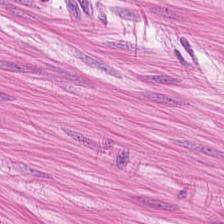WSI patch; 224×224 px tile; hematoxylin and eosin. Predominant tissue — smooth-muscle tissue.
